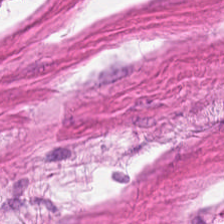224×224 px tile. H&E stain. 0.5 µm/px. Muscularis.
